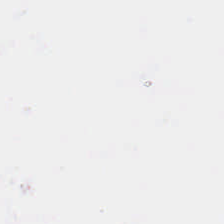The classification is no tissue.
